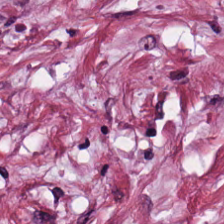{"tissue_type": "cancer-associated stroma"}
